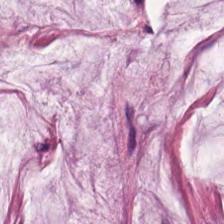Mucin.
